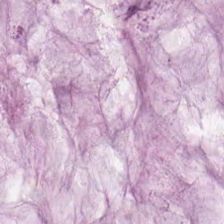H&E stain. The tissue here is extracellular mucin.
